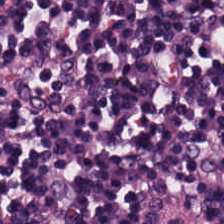Hematoxylin and eosin.
Q: What does this patch show?
A: It is lymphocytic infiltrate.
